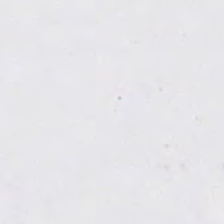FFPE. H&E stain — Histology → no tissue.
